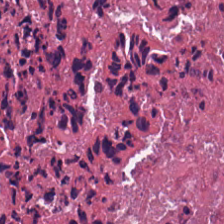Hematoxylin-and-eosin stained section. 0.5 microns per pixel. Debris.
